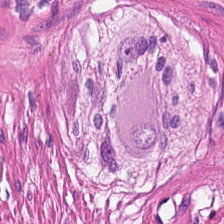20× equivalent magnification; hematoxylin and eosin. Q: What type of tissue is this?
A: This is smooth muscle.
